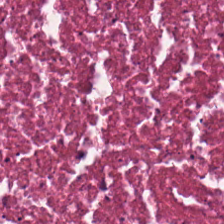Brightfield · H&E.
Tissue class = debris.
